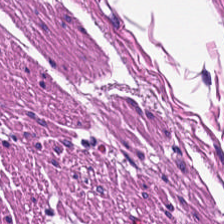H&E-stained tissue section. This field is smooth muscle.
